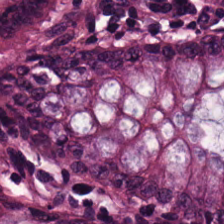H&E-stained tissue section — Q: What is shown here?
A: It is normal colon mucosa.
